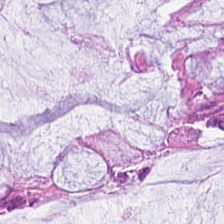H&E-stained tissue section.
Predominantly normal colon mucosa.
